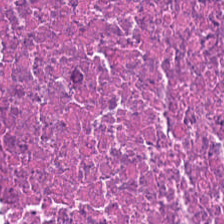Hematoxylin-and-eosin stained section.
Q: What tissue is shown?
A: This is cellular debris.
